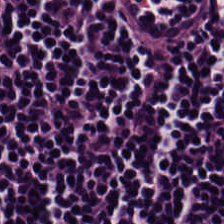Q: Identify the tissue.
A: It is lymphoid infiltrate.
